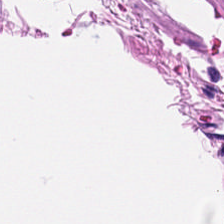Whole-slide-image patch; 0.5 microns per pixel; H&E-stained tissue section. Classification: smooth-muscle tissue.
